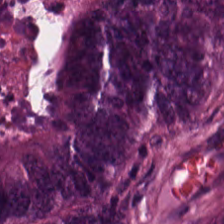Hematoxylin-and-eosin stained section.
The tissue here is colorectal adenocarcinoma.
